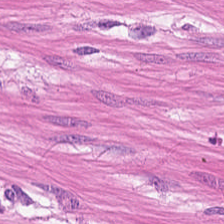Formalin-fixed paraffin-embedded section; H&E.
Predominantly smooth-muscle tissue.
